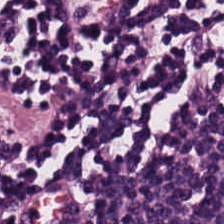Hematoxylin and eosin. 0.5 µm/px. Tissue type = lymphoid infiltrate.
